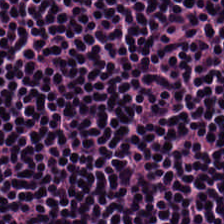Hematoxylin and eosin. Brightfield. 224×224 px tile — This patch shows lymphoid infiltrate.
